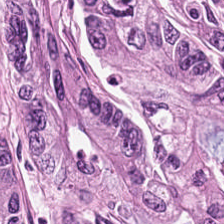0.5 microns per pixel; 224×224 px patch; hematoxylin and eosin. Tissue class — colorectal adenocarcinoma epithelium.
